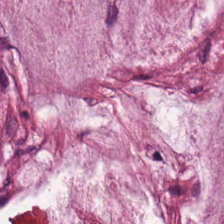224×224 pixel tile · H&E.
This patch shows mucus.
